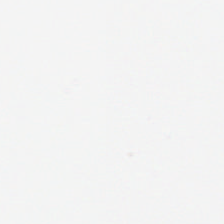This field is background (no tissue).
